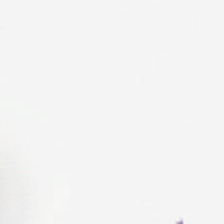0.5 µm per pixel; hematoxylin and eosin. Impression → empty background.
